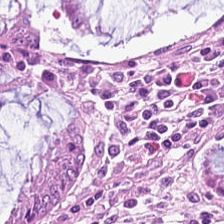Formalin-fixed paraffin-embedded section; hematoxylin-and-eosin stained section — Showing non-neoplastic colon mucosa.
